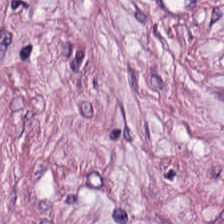H&E.
Tissue type — desmoplastic stroma.
